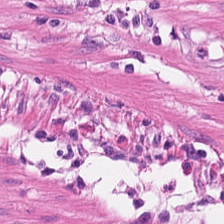Stain: H&E-stained tissue section.
Tissue: smooth-muscle tissue.
